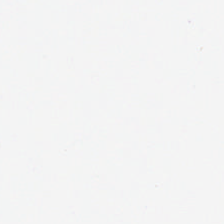H&E — Empty field — no tissue.
